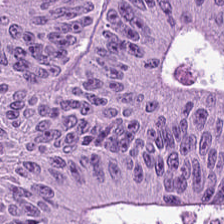Tissue type = colorectal adenocarcinoma.
